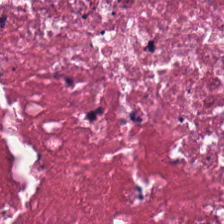Hematoxylin-and-eosin stained section. Q: What type of tissue is this?
A: This is necrotic debris.
